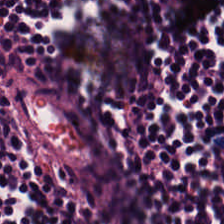Hematoxylin-and-eosin stained section · 0.5 µm/px — Histology → lymphoid infiltrate.
